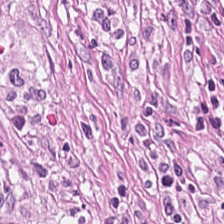H&E stain. Classification — tumor stroma.
